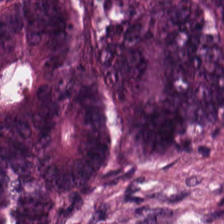H&E. 0.5 microns per pixel — The tissue here is malignant epithelium.
